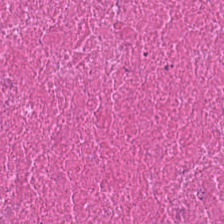H&E-stained tissue section · formalin-fixed paraffin-embedded section · whole-slide-image patch. Debris.
